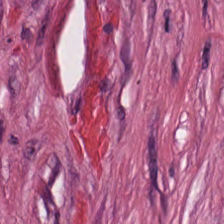H&E stain.
Tumor stroma.
